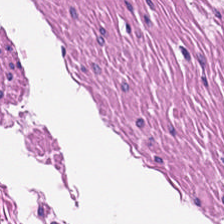Showing smooth-muscle tissue.
